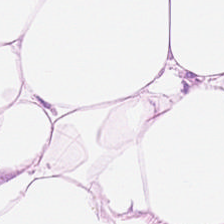Hematoxylin and eosin. Q: What is shown here?
A: Adipose.
